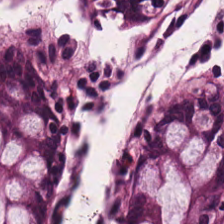Hematoxylin and eosin · 0.5 microns per pixel. The classification is normal colon mucosa.
